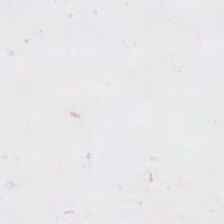H&E stain. Impression — empty background.
